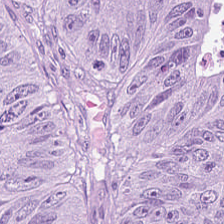Hematoxylin-and-eosin stained section · 224×224 px patch · formalin-fixed paraffin-embedded section. Predominantly malignant epithelium.
